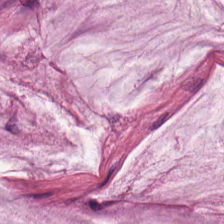Hematoxylin and eosin. Impression — mucus.
